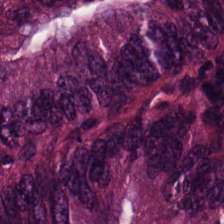Finding → malignant epithelium.
